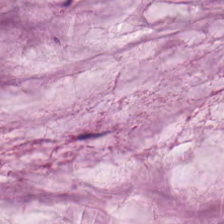Q: What is shown here?
A: This is extracellular mucin.
